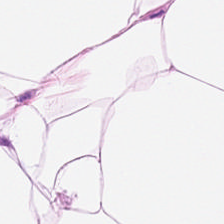Stain: H&E-stained tissue section.
Tissue class: fat tissue.
